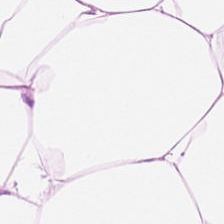Stain: hematoxylin and eosin.
Tissue: adipose.
